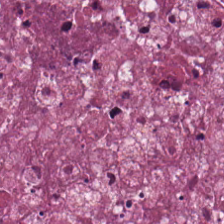Q: What is shown in this field?
A: Debris.
